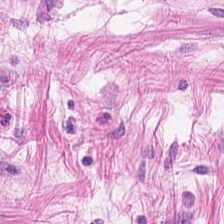H&E-stained tissue section.
Predominantly muscularis.
